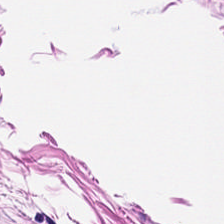FFPE tissue section; H&E-stained tissue section.
Predominantly smooth muscle.
